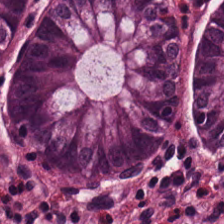H&E · 224×224 pixel tile. The tissue here is normal colonic mucosa.
